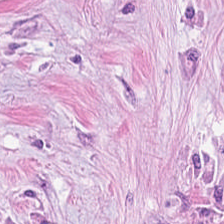H&E.
The tissue here is tumor-associated stroma.
